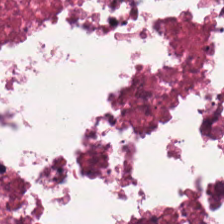H&E-stained tissue section. Necrotic debris.
